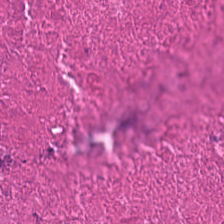H&E. Brightfield microscopy.
The tissue here is debris.
